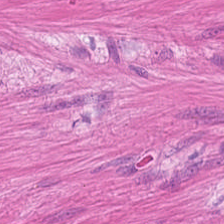H&E; FFPE.
This field is muscularis.
